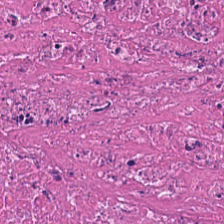Stain: H&E stain.
Resolution: 0.5 microns per pixel.
Tile size: 224×224 pixel tile.
Tissue: cellular debris.
